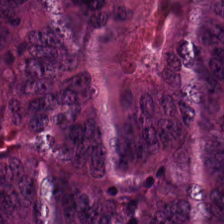Hematoxylin and eosin.
Predominantly tumor epithelium.
